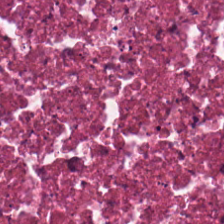WSI patch. H&E.
{"tissue_type": "necrotic debris"}
